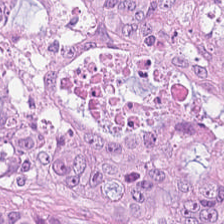Formalin-fixed paraffin-embedded section · hematoxylin and eosin. This patch shows colorectal adenocarcinoma epithelium.
